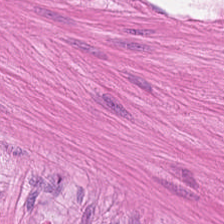FFPE. Hematoxylin-and-eosin stained section. Predominant tissue: smooth-muscle tissue.
